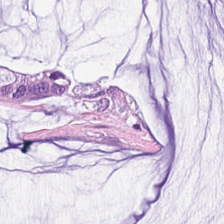Hematoxylin and eosin — Extracellular mucin.
